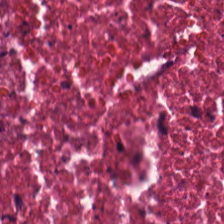Hematoxylin-and-eosin stained section.
Tissue type — necrotic debris.
